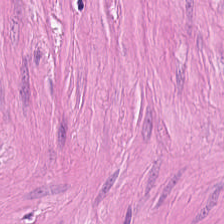Predominantly smooth-muscle tissue.
